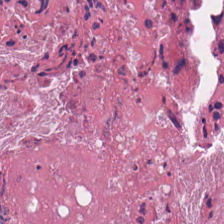Hematoxylin-and-eosin stained section; brightfield. Q: What is shown in this field?
A: Debris.
